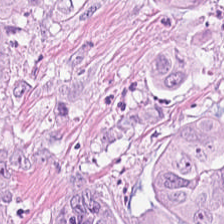Stain: H&E.
Preparation: FFPE.
Predominant tissue: tumor epithelium.
